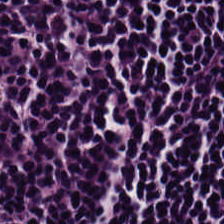Hematoxylin and eosin; 224×224 px patch; brightfield microscopy. This patch shows lymphocyte aggregate.
